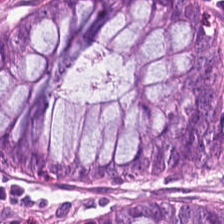20× equivalent magnification · H&E-stained tissue section. This field is benign colonic mucosa.
